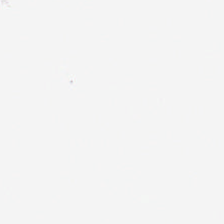Stain: hematoxylin and eosin.
Acquisition: brightfield microscopy.
Preparation: FFPE tissue section.
Classification: background (no tissue).
